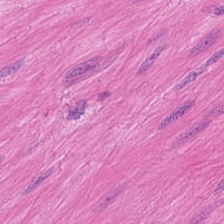H&E patch showing smooth-muscle tissue.
